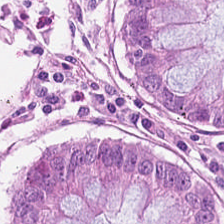Stain: H&E stain.
Preparation: FFPE tissue section.
Tile size: 224×224 pixel tile.
Classification: non-neoplastic colon mucosa.
